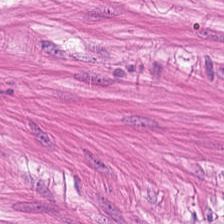Stain: H&E.
Preparation: FFPE tissue section.
Tissue class: smooth-muscle tissue.
